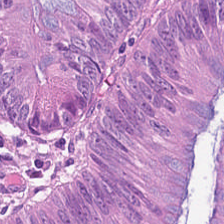WSI patch; H&E stain — The classification is tumor epithelium.
